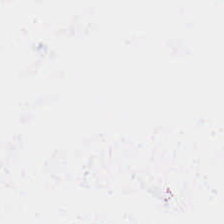Stain: H&E-stained tissue section.
Classification: empty background.
